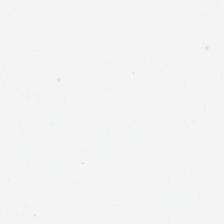FFPE tissue section · H&E. Content: empty background.
